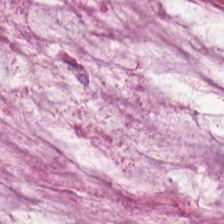Stain: H&E-stained tissue section.
Tissue class: mucus.
